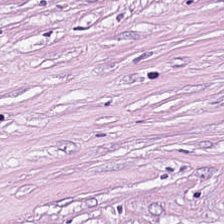Hematoxylin and eosin.
Predominantly tumor stroma.
